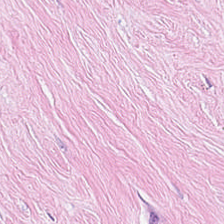H&E. Predominantly tumor-associated stroma.
